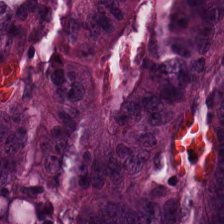H&E — Tissue class — colorectal adenocarcinoma epithelium.
